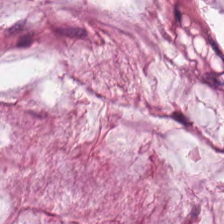H&E stain · formalin-fixed paraffin-embedded section.
Classification = mucin.
